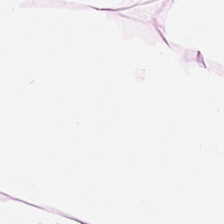Hematoxylin-and-eosin stained section; 0.5 µm/px; 224×224 px tile — Predominantly fat tissue.
